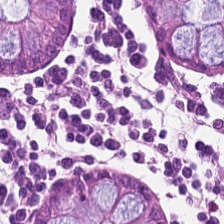Histology → normal colon mucosa.
